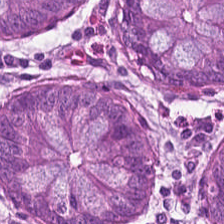H&E-stained tissue section. The tissue class is normal colonic mucosa.
